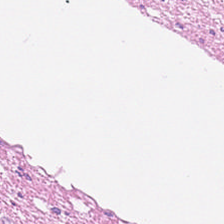H&E stain — Showing smooth-muscle tissue.
